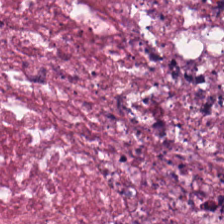H&E-stained tissue section showing debris.
